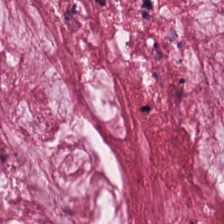This field is mucin.
